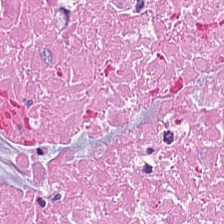FFPE; hematoxylin-and-eosin stained section.
The predominant tissue is necrotic debris.
